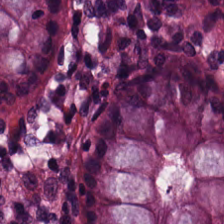Stain: hematoxylin-and-eosin stained section.
Tile size: 224×224 pixel tile.
Preparation: FFPE.
Tissue: non-neoplastic colon mucosa.
